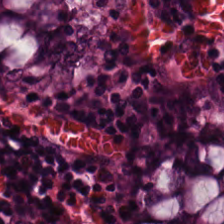Non-neoplastic colon mucosa.
